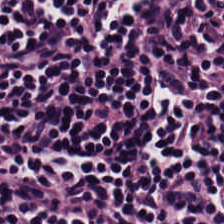H&E-stained tissue section. The tissue class is lymphocytic infiltrate.
